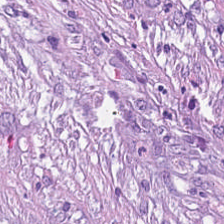224×224 pixel tile. H&E stain. The tissue here is desmoplastic stroma.
